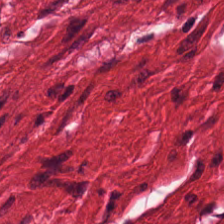Brightfield · hematoxylin-and-eosin stained section. The predominant tissue is smooth-muscle tissue.
